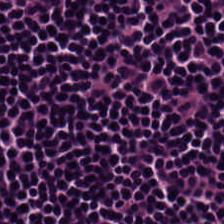Q: What tissue is shown?
A: It is lymphocyte aggregate.
